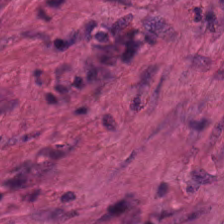Hematoxylin-and-eosin stained section.
Predominantly muscularis.
